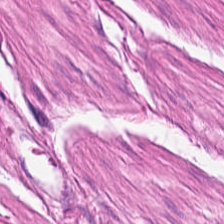H&E-stained tissue section. Smooth-muscle tissue.
